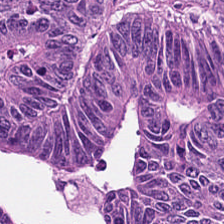224×224 px patch; H&E stain. Predominant tissue — colorectal adenocarcinoma epithelium.
